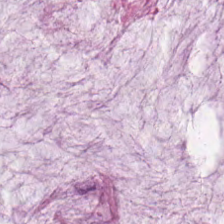Showing extracellular mucin.
